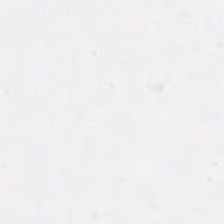H&E.
Background.
